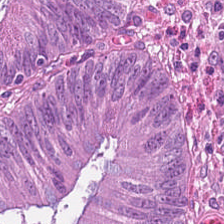Predominant tissue — colorectal adenocarcinoma.
